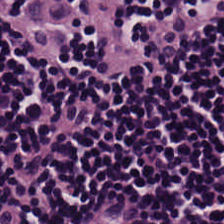Tissue type — lymphocytic infiltrate.
